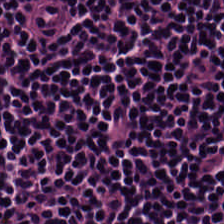H&E-stained tissue section — This field is lymphocytes.
